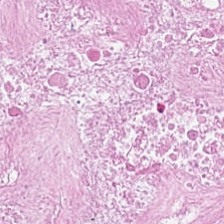Histology — necrotic debris.
